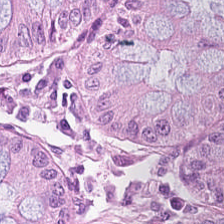Brightfield microscopy · 20× equivalent magnification · H&E.
Classification = benign colonic mucosa.
